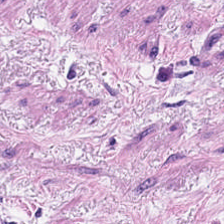Stain: H&E-stained tissue section.
Tissue: smooth-muscle tissue.
